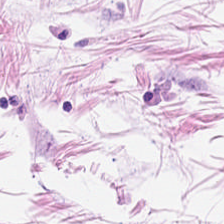H&E-stained tissue section — Q: Identify the tissue.
A: The field shows adipocytes.
